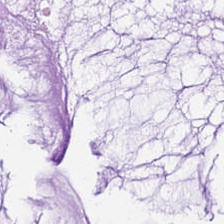224×224 px patch; 20× equivalent magnification; hematoxylin-and-eosin stained section — Predominantly extracellular mucin.
